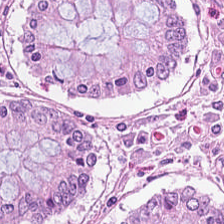224×224 px tile. Whole-slide-image patch. H&E stain. This field is normal colon mucosa.
